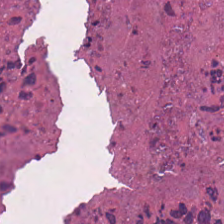H&E. WSI patch.
{"tissue_type": "debris"}
